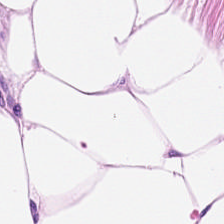224×224 pixel tile; H&E-stained tissue section; brightfield.
Showing adipose tissue.
